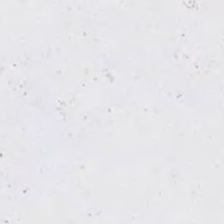FFPE tissue section; H&E stain.
No tissue present; background only.
